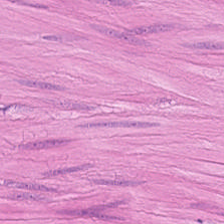Hematoxylin-and-eosin stained section.
The tissue type is smooth-muscle tissue.
